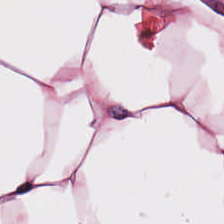{"tissue_type": "adipose tissue"}
